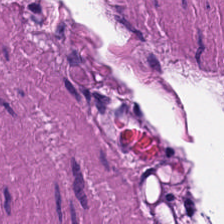Tissue type — muscularis.
